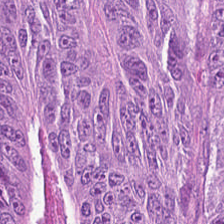The classification is adenocarcinoma.
